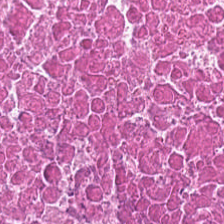0.5 µm/px. Hematoxylin-and-eosin stained section.
Showing cellular debris.
